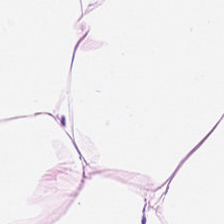H&E stain. Q: What does this patch show?
A: It is fat tissue.
